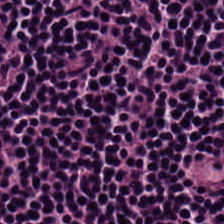H&E-stained tissue section; WSI patch — Tissue type — lymphocytes.
